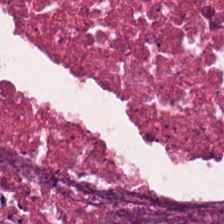H&E.
Tissue: debris.
